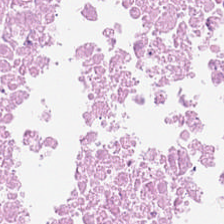Hematoxylin-and-eosin stained section — Showing cellular debris.
